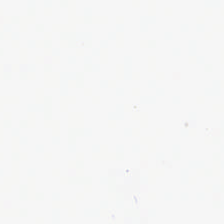Hematoxylin and eosin — Empty field — no tissue.
